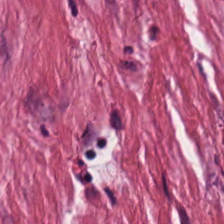Q: Classify this patch.
A: Tumor-associated stroma.
